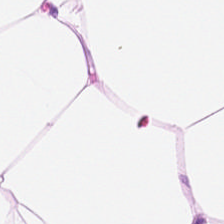H&E-stained tissue section.
This field is adipocytes.
